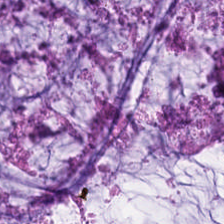H&E-stained tissue section — This field is mucus.
